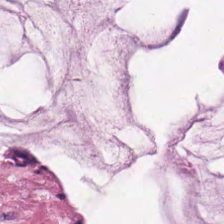H&E-stained tissue section; formalin-fixed paraffin-embedded section — This field is mucus.
